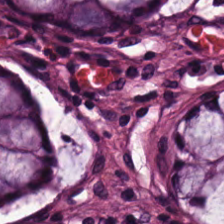Classification: normal colon mucosa.
